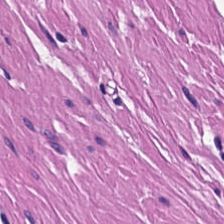Hematoxylin-and-eosin stained section.
Histology — smooth-muscle tissue.
